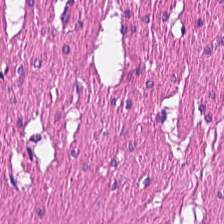224×224 px tile; H&E; 0.5 µm/px — Q: What type of tissue is this?
A: It is smooth muscle.
